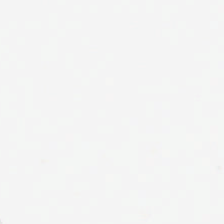0.5 microns per pixel · H&E stain.
This field is background (no tissue).
